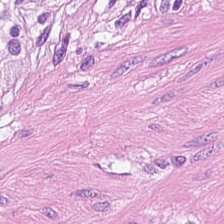Stain: H&E-stained tissue section.
Acquisition: brightfield microscopy.
Classification: smooth muscle.
